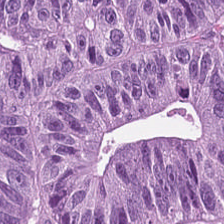H&E-stained section; the field shows colorectal adenocarcinoma.
